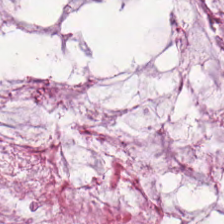Stain: H&E-stained tissue section.
Acquisition: brightfield microscopy.
Tissue class: mucus.
